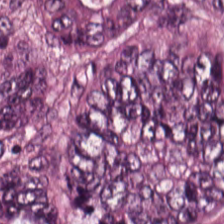Hematoxylin and eosin. The tissue type is malignant epithelium.
